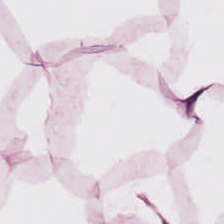This patch shows adipose tissue.
